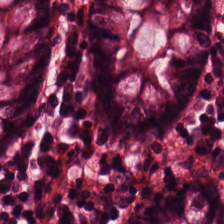0.5 µm per pixel; FFPE; H&E-stained tissue section.
Q: What is the predominant tissue type?
A: Benign colonic mucosa.
